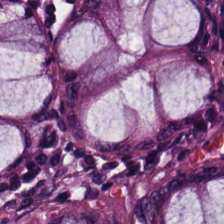H&E stain — {"tissue_type": "benign colonic mucosa"}
